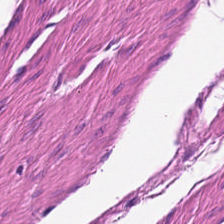Brightfield microscopy; H&E-stained tissue section — The predominant tissue is muscularis.
